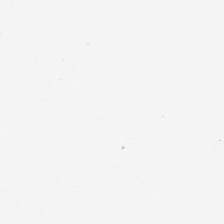Stain: hematoxylin and eosin.
Content: background.
